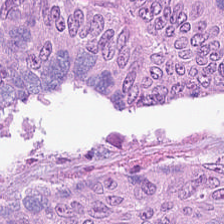H&E-stained tissue section · 0.5 µm/px.
Showing tumor epithelium.
